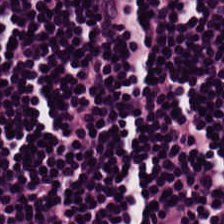Stain: hematoxylin and eosin.
Tissue class: lymphocytes.
